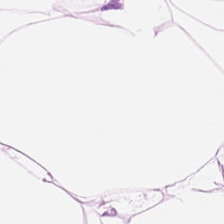Hematoxylin-and-eosin stained section. Impression → adipose tissue.
